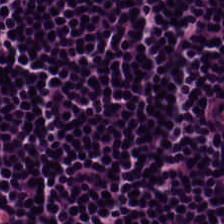Stain: hematoxylin and eosin.
Tissue class: lymphocyte aggregate.
